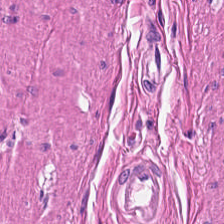H&E; 0.5 µm per pixel; FFPE.
Tissue = smooth muscle.
